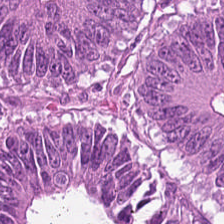H&E stain. Predominant tissue = colorectal adenocarcinoma epithelium.
